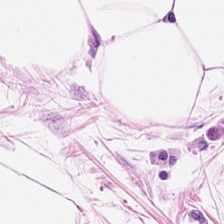Stain: H&E-stained tissue section.
Resolution: 0.5 µm/px.
Tile size: 224×224 px tile.
Classification: adipose tissue.
